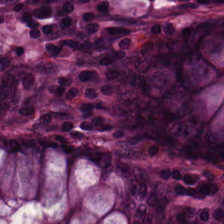Q: What type of tissue is this?
A: Normal colonic mucosa.
